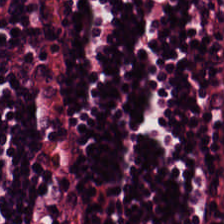The predominant tissue is lymphocyte aggregate.
